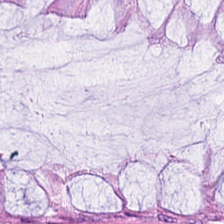Hematoxylin and eosin. Formalin-fixed paraffin-embedded section.
The predominant tissue is normal colonic mucosa.
